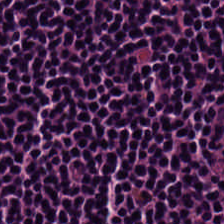H&E-stained tissue section — Showing lymphocytic infiltrate.
